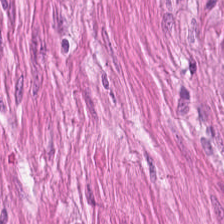Finding → smooth-muscle tissue.
